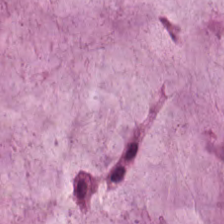Stain: hematoxylin-and-eosin stained section.
Tissue: mucus.
